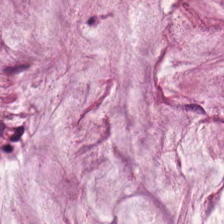Predominantly mucin.
